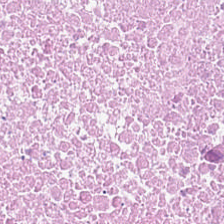The predominant tissue is necrotic debris.
